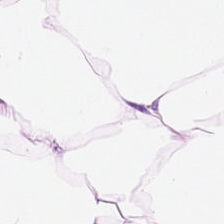Formalin-fixed paraffin-embedded section. H&E stain.
Impression → adipose tissue.
